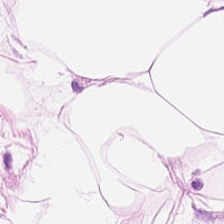H&E. Whole-slide-image patch. {"tissue_type": "fat tissue"}
